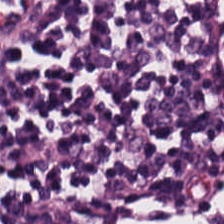Brightfield microscopy · H&E · FFPE. {"tissue_type": "lymphocytes"}
